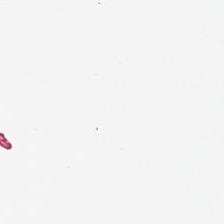224×224 px patch. H&E. Formalin-fixed paraffin-embedded section — Classification = background (no tissue).
